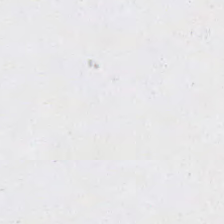This patch shows background (no tissue).
